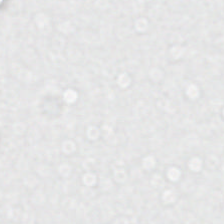Hematoxylin and eosin — This patch shows empty background.
